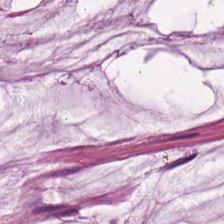The predominant tissue is extracellular mucin.
